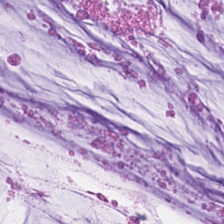Tissue class = mucus.
